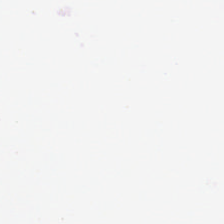Hematoxylin and eosin — Classification — empty background.
